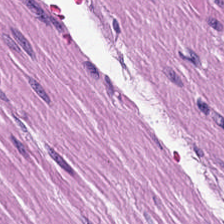H&E.
Muscularis.
